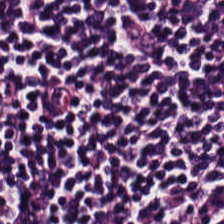The tissue class is lymphocyte aggregate.
